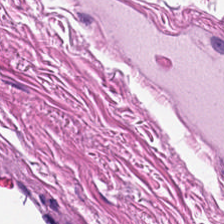Hematoxylin and eosin · 224×224 px patch · 0.5 µm per pixel. Q: What tissue is shown?
A: It is smooth-muscle tissue.
